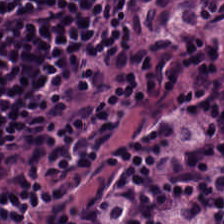Showing lymphocytes.
